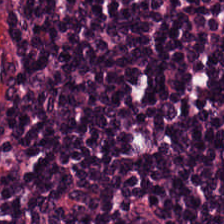Hematoxylin-and-eosin stained section.
Lymphocyte aggregate.
